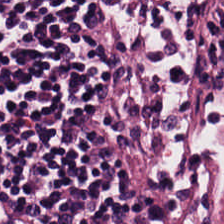Stain: H&E-stained tissue section.
Classification: lymphocytic infiltrate.
